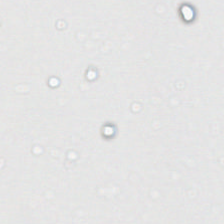FFPE. Hematoxylin-and-eosin stained section. Q: What does this patch show?
A: This is background.
